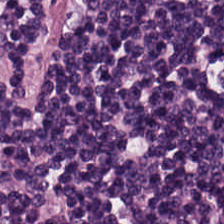H&E-stained tissue section. Lymphocytic infiltrate.
